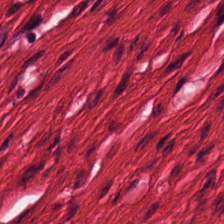Formalin-fixed paraffin-embedded section. Hematoxylin-and-eosin stained section.
Predominantly smooth-muscle tissue.
